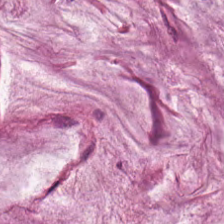224×224 px patch. H&E.
Tissue type — mucin.
